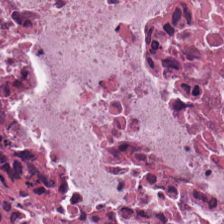Hematoxylin and eosin — This patch shows necrotic debris.
